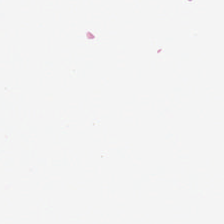Hematoxylin-and-eosin stained section · brightfield microscopy. Background — no tissue in this field.
